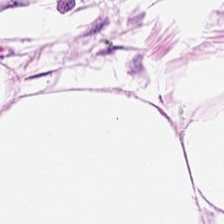Hematoxylin-and-eosin stained section. Whole-slide-image patch.
The predominant tissue is adipose.
